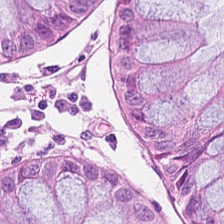H&E. Tissue type: non-neoplastic colon mucosa.
